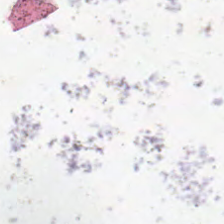Hematoxylin and eosin. 224×224 px tile — Content: background.
